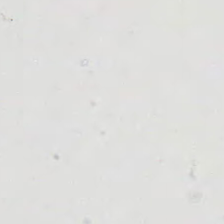This field is background (no tissue).
